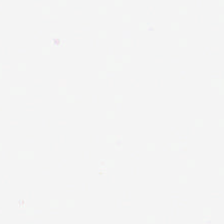Q: What does this patch show?
A: Empty background.
